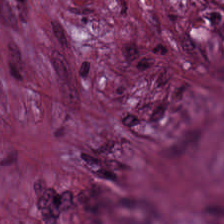Impression → desmoplastic stroma.
